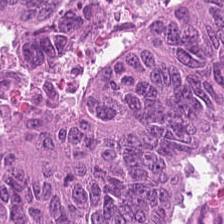H&E-stained tissue section; 20× equivalent magnification. Showing tumor epithelium.
